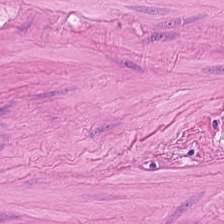H&E-stained tissue section. FFPE. 0.5 µm/px. Q: What does this patch show?
A: This is muscularis.
